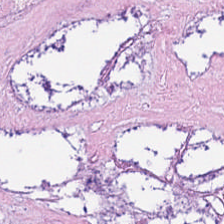Stain: H&E.
Classification: necrotic debris.
